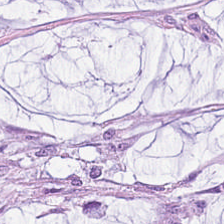Showing mucin.
